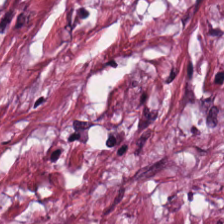Hematoxylin and eosin — Finding — tumor stroma.
